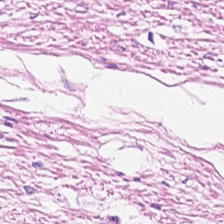Stain: hematoxylin-and-eosin stained section.
Tissue: smooth muscle.
